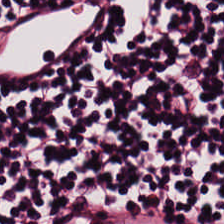H&E stain · formalin-fixed paraffin-embedded section. Impression — lymphocyte aggregate.
